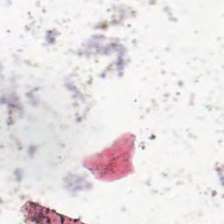Hematoxylin-and-eosin stained section; brightfield microscopy — Classification = background.
